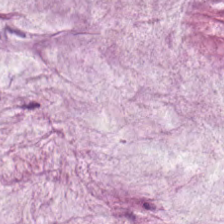Stain: H&E.
Classification: mucin.
